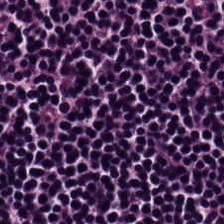H&E stain. The predominant tissue is lymphoid infiltrate.
